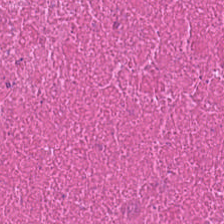H&E patch showing debris.
